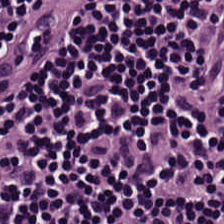H&E-stained tissue section · 224×224 px patch — Histology → lymphocytes.
